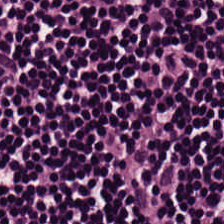Hematoxylin-and-eosin stained section · FFPE tissue section. Predominant tissue = lymphocytic infiltrate.
